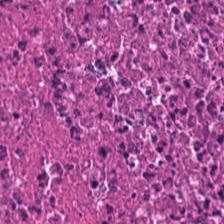H&E; 0.5 µm/px; FFPE. Cellular debris.
